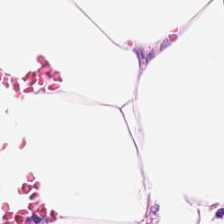H&E stain. FFPE. 224×224 pixel tile. Impression → fat tissue.
